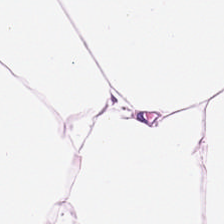H&E-stained tissue section; 224×224 px patch; 0.5 microns per pixel. Predominantly adipocytes.
